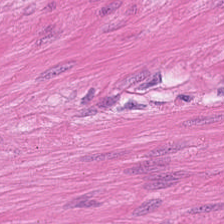Hematoxylin-and-eosin stained section.
Q: What is the predominant tissue type?
A: The field shows smooth-muscle tissue.
